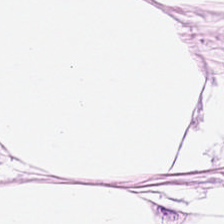H&E.
The predominant tissue is adipose.
